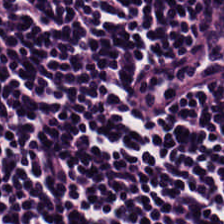H&E — Tissue — lymphocytes.
